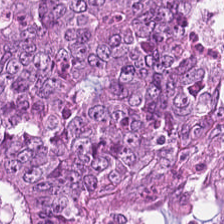Hematoxylin and eosin.
This patch shows malignant epithelium.
